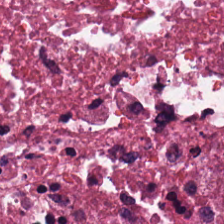224×224 px patch. H&E stain. Brightfield.
Necrotic debris.
